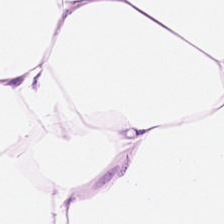Stain: H&E-stained tissue section.
Tissue: fat tissue.
